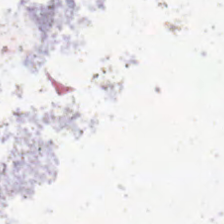This patch shows empty background.
